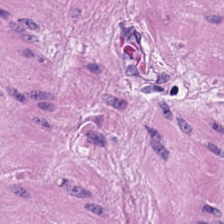H&E-stained tissue section — This field is smooth muscle.
